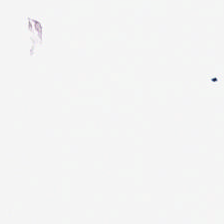Hematoxylin-and-eosin stained section. 224×224 px patch. FFPE tissue section — No tissue present; background only.
